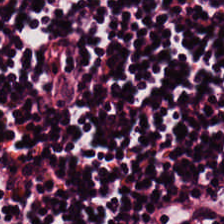0.5 µm per pixel; H&E; whole-slide-image patch. This patch shows lymphocyte aggregate.
